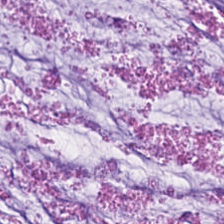{"tissue_type": "extracellular mucin"}
